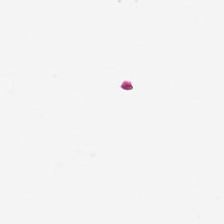Hematoxylin-and-eosin stained section; FFPE.
Content: background (no tissue).
